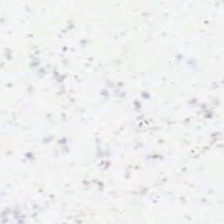0.5 microns per pixel · 224×224 pixel tile · hematoxylin and eosin — {"content": "background"}
